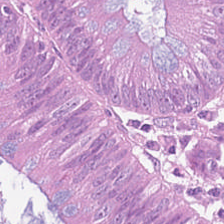Hematoxylin and eosin; formalin-fixed paraffin-embedded section. Histology → colorectal adenocarcinoma epithelium.
